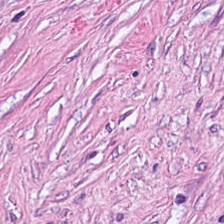Hematoxylin-and-eosin stained section. 0.5 µm per pixel. Q: What is the predominant tissue type?
A: It is cancer-associated stroma.
